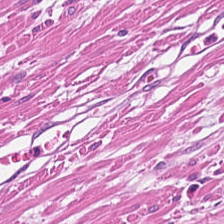Q: What is the predominant tissue type?
A: It is muscularis.
